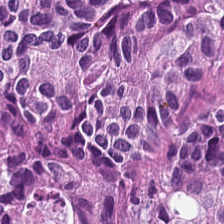H&E stain. Finding — colorectal adenocarcinoma epithelium.
